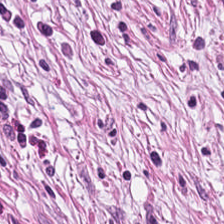Stain: H&E stain.
Tile size: 224×224 px tile.
Preparation: FFPE tissue section.
Tissue: tumor-associated stroma.
